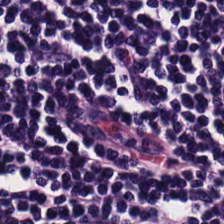H&E stain — Lymphocyte aggregate.
